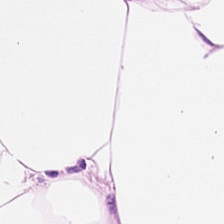H&E patch showing adipose.
